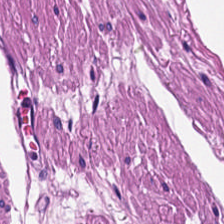0.5 µm/px. Brightfield. Hematoxylin and eosin — The predominant tissue is smooth muscle.
